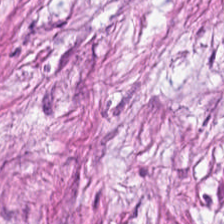H&E — desmoplastic stroma.
